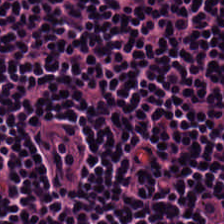This field is lymphocyte aggregate.
